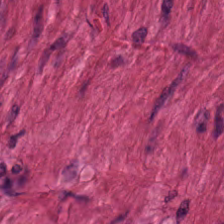H&E stain — This field is smooth-muscle tissue.
